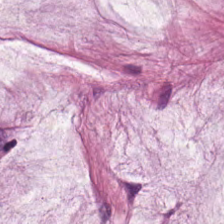H&E-stained tissue section — Tissue: extracellular mucin.
